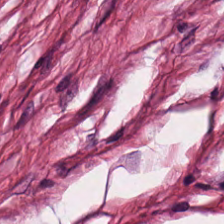Stain: hematoxylin and eosin.
Tissue: desmoplastic stroma.
